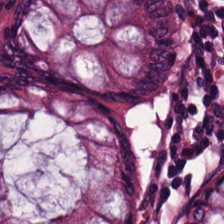H&E-stained tissue section — The tissue type is non-neoplastic colon mucosa.
